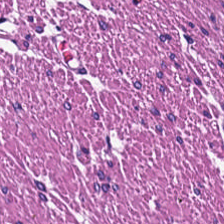H&E. 0.5 microns per pixel — Showing smooth-muscle tissue.
